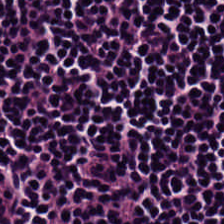H&E — Predominant tissue — lymphocyte aggregate.
